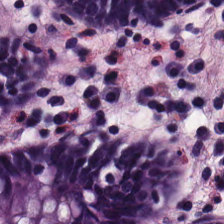Hematoxylin and eosin — {"tissue_type": "benign colonic mucosa"}
